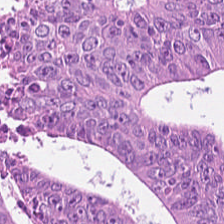H&E stain.
Q: What type of tissue is this?
A: The field shows tumor epithelium.
